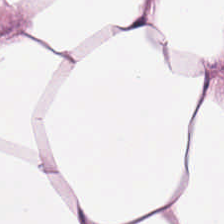H&E — Adipose tissue.
